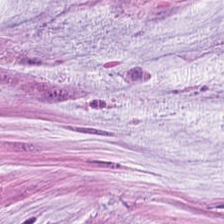Stain: H&E-stained tissue section.
Tissue class: extracellular mucin.
